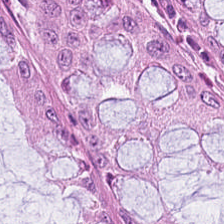H&E-stained tissue section.
Finding → normal colonic mucosa.
